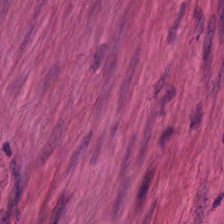Hematoxylin-and-eosin section: smooth muscle.
